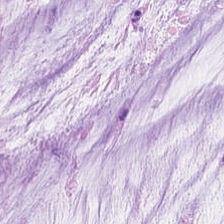Hematoxylin and eosin — Tissue class: extracellular mucin.
